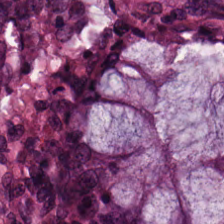H&E-stained tissue section.
Tissue — non-neoplastic colon mucosa.
